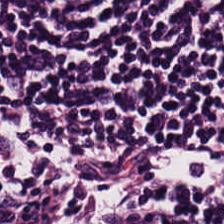Hematoxylin-and-eosin stained section — Predominant tissue: lymphocytic infiltrate.
